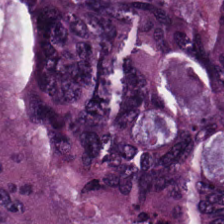Brightfield; 20× equivalent magnification; hematoxylin and eosin.
The tissue here is colorectal adenocarcinoma.
